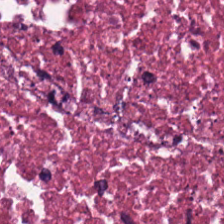224×224 px tile; formalin-fixed paraffin-embedded section; hematoxylin and eosin. The predominant tissue is debris.
